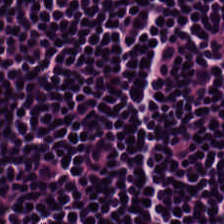Stain: hematoxylin-and-eosin stained section.
Predominant tissue: lymphocytes.
